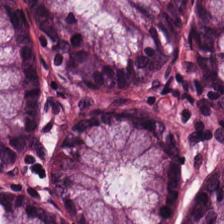H&E patch showing normal colon mucosa.
